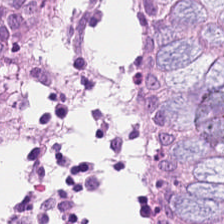FFPE tissue section. 224×224 pixel tile. Hematoxylin and eosin.
Showing non-neoplastic colon mucosa.
